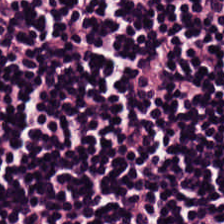H&E-stained tissue section — Classification: lymphocyte aggregate.
